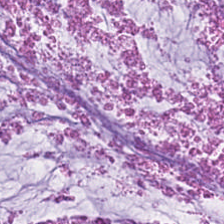Stain: hematoxylin-and-eosin stained section.
Tissue type: mucin.
